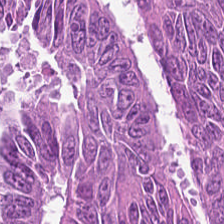H&E-stained tissue section.
The tissue class is colorectal adenocarcinoma.
